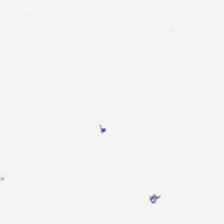{"content": "background (no tissue)"}
